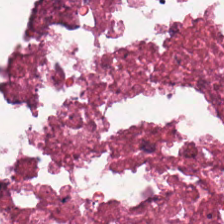Formalin-fixed paraffin-embedded section · hematoxylin and eosin. Q: What does this patch show?
A: This is cellular debris.
